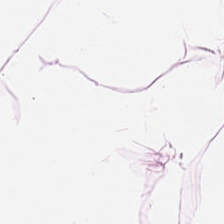Hematoxylin and eosin; formalin-fixed paraffin-embedded section; 224×224 pixel tile.
Q: Identify the tissue.
A: The field shows adipose.
